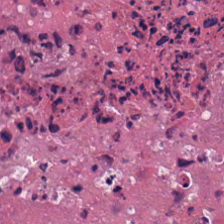Hematoxylin-and-eosin stained section.
Q: What type of tissue is this?
A: The field shows cellular debris.
